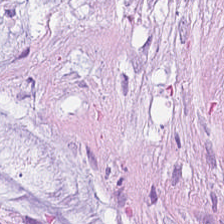Whole-slide-image patch; hematoxylin and eosin.
This field is mucus.
